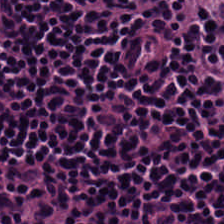H&E stain · 224×224 px tile · formalin-fixed paraffin-embedded section — Q: Classify this patch.
A: Lymphocytic infiltrate.
